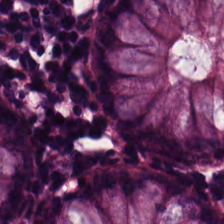Hematoxylin and eosin. Classification = normal colonic mucosa.
